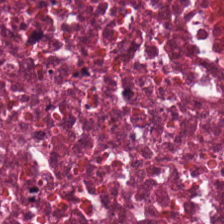0.5 µm per pixel; hematoxylin-and-eosin stained section — Showing debris.
